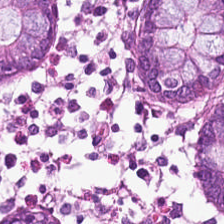H&E stain — Tissue: benign colonic mucosa.
